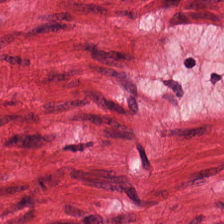H&E-stained tissue section. 224×224 pixel tile. FFPE — Predominant tissue — muscularis.
